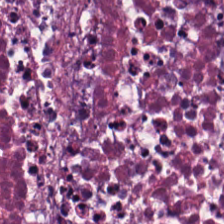Stain: hematoxylin-and-eosin stained section.
Classification: necrotic debris.
